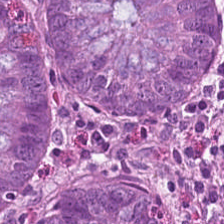H&E-stained tissue section. Q: What tissue type is shown here?
A: Benign colonic mucosa.
